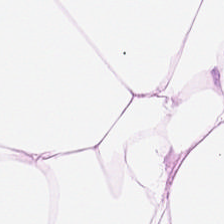H&E stain.
Tissue class = adipose tissue.
